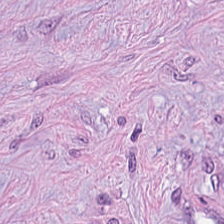Brightfield microscopy; H&E-stained tissue section — This field is cancer-associated stroma.
